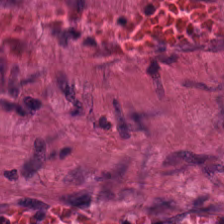H&E — Showing smooth-muscle tissue.
